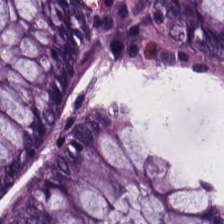Hematoxylin-and-eosin stained section — Q: What is shown in this field?
A: The field shows non-neoplastic colon mucosa.
